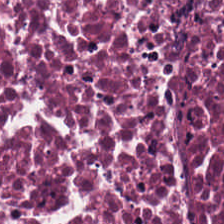H&E-stained section; the field shows debris.
